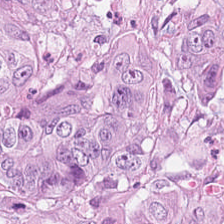FFPE. Hematoxylin and eosin. Q: Classify this patch.
A: The field shows colorectal adenocarcinoma epithelium.
